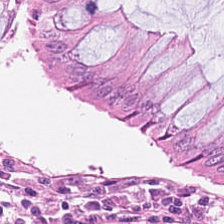Hematoxylin and eosin; FFPE tissue section.
Predominantly normal colonic mucosa.
